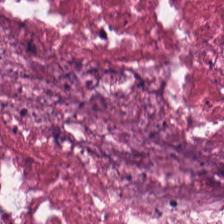Tissue type = debris.
